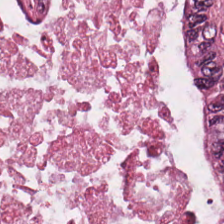H&E-stained tissue section.
{"tissue_type": "tumor epithelium"}
